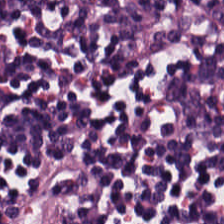Finding → lymphoid infiltrate.
